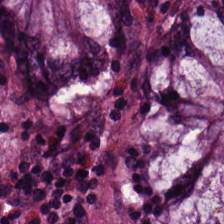Hematoxylin and eosin — Showing non-neoplastic colon mucosa.
